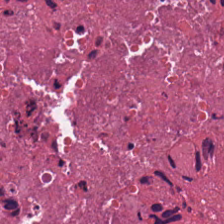FFPE tissue section · hematoxylin and eosin · 224×224 px tile. The tissue here is debris.
